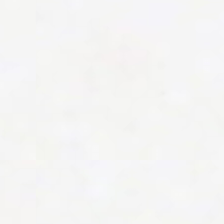Hematoxylin and eosin; 224×224 pixel tile. Classification — no tissue.
